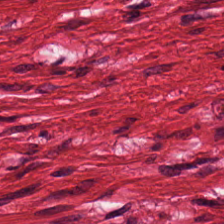{"tissue_type": "muscularis"}
